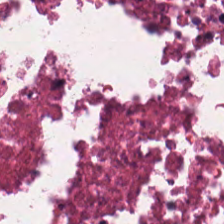Hematoxylin-and-eosin stained section. This patch shows debris.
